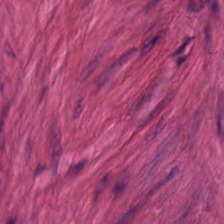The tissue is muscularis.
